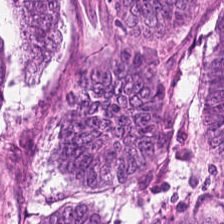{"tissue_type": "colorectal adenocarcinoma"}
